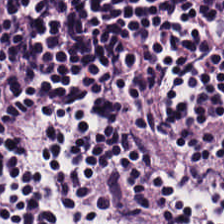H&E — lymphoid infiltrate.
